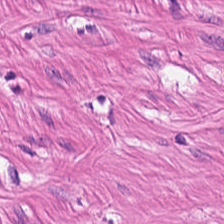H&E stain — Q: What does this patch show?
A: It is smooth muscle.
